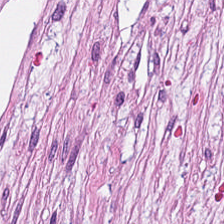Stain: H&E.
Preparation: FFPE.
Acquisition: whole-slide-image patch.
Classification: cancer-associated stroma.
